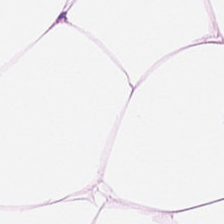H&E-stained tissue section — Adipose.
